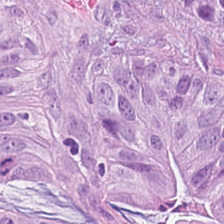224×224 px patch · WSI patch · H&E. {"tissue_type": "colorectal adenocarcinoma epithelium"}
